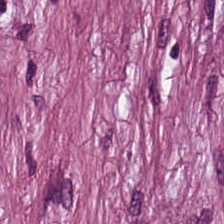Stain: H&E.
Tissue: tumor stroma.
